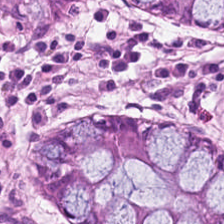Formalin-fixed paraffin-embedded section; H&E-stained tissue section. The predominant tissue is normal colonic mucosa.
